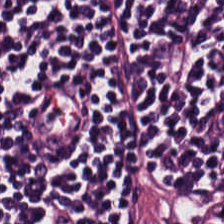H&E-stained tissue section. FFPE — Lymphocyte aggregate.
